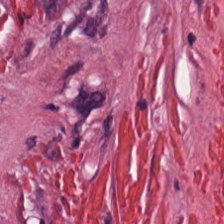H&E-stained tissue section · FFPE tissue section. The tissue type is tumor stroma.
